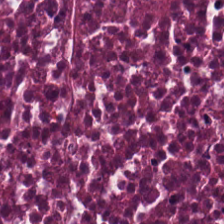H&E-stained tissue section. This field is cellular debris.
